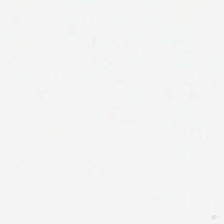H&E-stained tissue section — Q: What is shown in this field?
A: It is background (no tissue).
